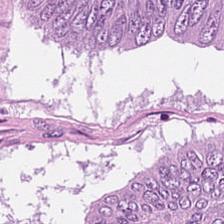H&E.
The predominant tissue is adenocarcinoma.
